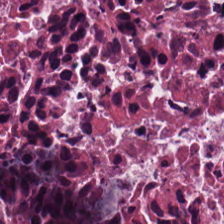Hematoxylin and eosin. {"tissue_type": "cellular debris"}
